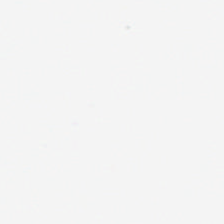Stain: H&E.
Preparation: FFPE tissue section.
Resolution: 0.5 microns per pixel.
Field content: empty background.
